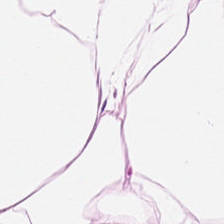H&E-stained tissue section. Q: What tissue is shown?
A: It is adipose.
